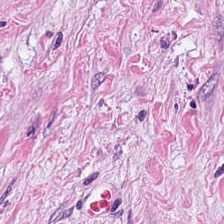H&E — Desmoplastic stroma.
